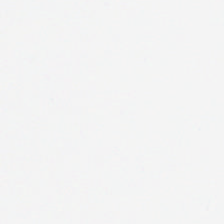Q: What is shown in this field?
A: This is background (no tissue).
